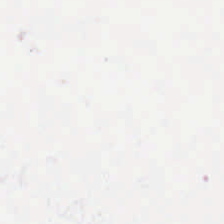H&E-stained tissue section.
Empty field — no tissue.
